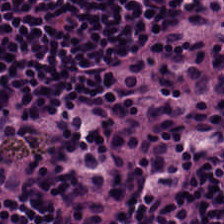H&E — lymphocyte aggregate.
